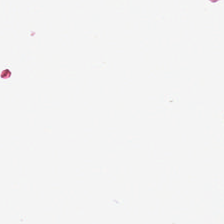0.5 microns per pixel. H&E. WSI patch.
Empty field — background (no tissue).
